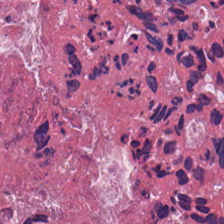Hematoxylin-and-eosin stained section — Cellular debris.
